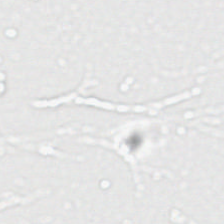Hematoxylin-and-eosin stained section. Q: What is shown here?
A: It is empty background.
